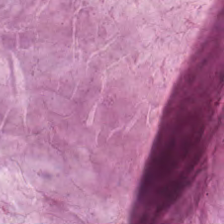Stain: H&E-stained tissue section.
Tissue type: mucus.
